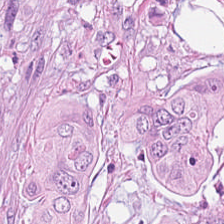FFPE; 0.5 µm/px; H&E stain. This field is colorectal adenocarcinoma.
